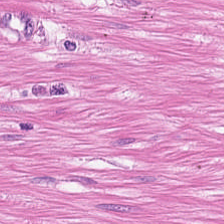0.5 µm/px. 224×224 px patch. H&E-stained tissue section.
The predominant tissue is muscularis.
